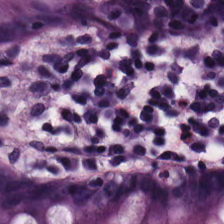Tissue — benign colonic mucosa.
